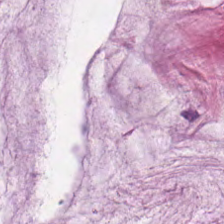Brightfield; formalin-fixed paraffin-embedded section; hematoxylin-and-eosin stained section. Q: What is the predominant tissue type?
A: The field shows mucin.
